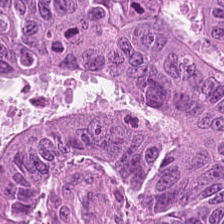224×224 px tile; H&E. {"tissue_type": "colorectal adenocarcinoma epithelium"}
